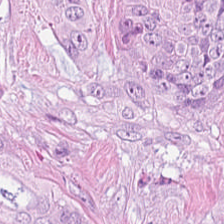H&E. Predominant tissue = malignant epithelium.
